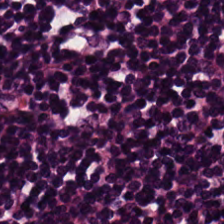Q: What is the predominant tissue type?
A: It is lymphocytic infiltrate.
